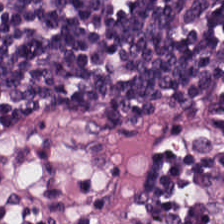H&E — Showing lymphocytic infiltrate.
